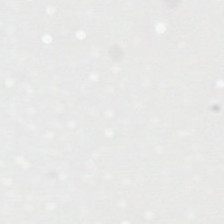FFPE. H&E stain. 0.5 µm/px — The content is background.
